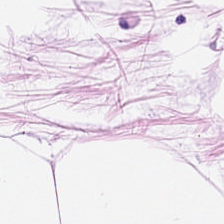224×224 pixel tile. H&E stain. Formalin-fixed paraffin-embedded section — Tissue class: adipose tissue.
